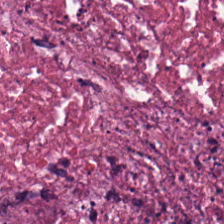Showing debris.
